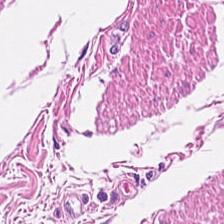H&E stain. Q: What tissue is shown?
A: It is smooth muscle.
